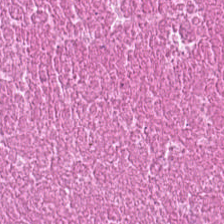H&E-stained tissue section.
The predominant tissue is cellular debris.
